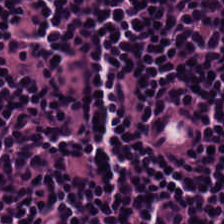H&E — {"tissue_type": "lymphocytes"}
